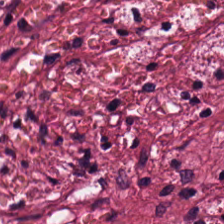H&E-stained tissue section. Classification = desmoplastic stroma.
